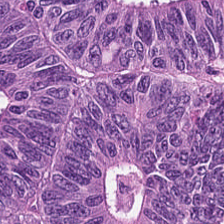H&E-stained tissue section · 20× equivalent magnification.
The predominant tissue is colorectal adenocarcinoma epithelium.
